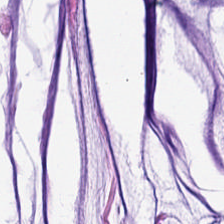224×224 pixel tile · H&E stain.
Q: What is shown here?
A: Extracellular mucin.
